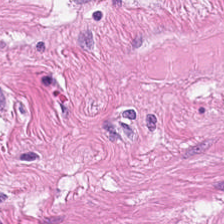Stain: H&E.
Tissue type: muscularis.
